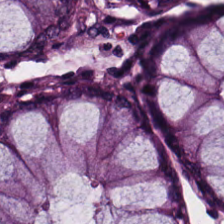Stain: hematoxylin and eosin.
Preparation: formalin-fixed paraffin-embedded section.
Classification: normal colonic mucosa.
